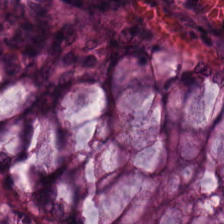H&E-stained tissue section · whole-slide-image patch · FFPE. Predominant tissue: normal colonic mucosa.
